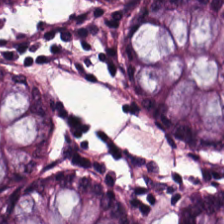0.5 microns per pixel · hematoxylin and eosin. The predominant tissue is normal colon mucosa.
